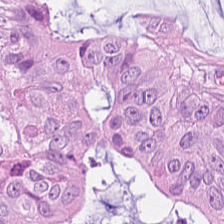20× equivalent magnification · FFPE tissue section · H&E stain.
Classification: adenocarcinoma.
